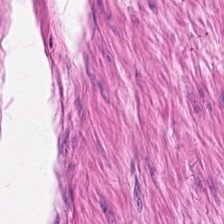H&E patch showing smooth-muscle tissue.
